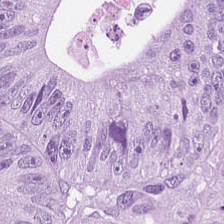20× equivalent magnification; FFPE tissue section; H&E.
{"tissue_type": "adenocarcinoma"}
